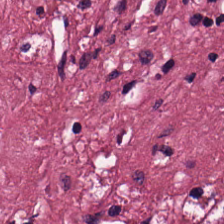Hematoxylin and eosin — Desmoplastic stroma.
